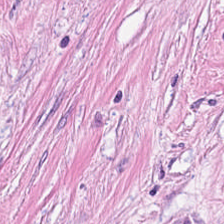Formalin-fixed paraffin-embedded section · H&E · WSI patch. Q: What is shown in this field?
A: This is cancer-associated stroma.
